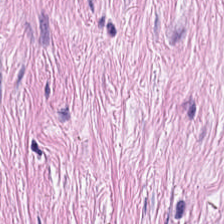Tissue type = cancer-associated stroma.
